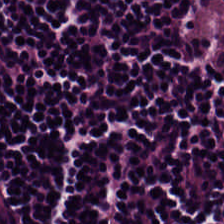Hematoxylin-and-eosin stained section · formalin-fixed paraffin-embedded section.
This patch shows lymphocytic infiltrate.
